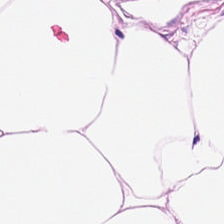H&E.
The predominant tissue is fat tissue.
